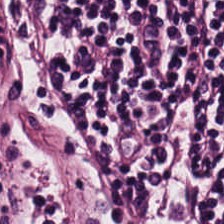Hematoxylin and eosin. 224×224 px tile.
Q: What type of tissue is this?
A: The field shows lymphocyte aggregate.
